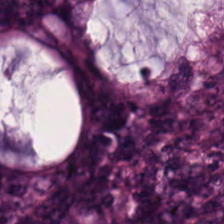Hematoxylin-and-eosin stained section.
Predominantly colorectal adenocarcinoma.
